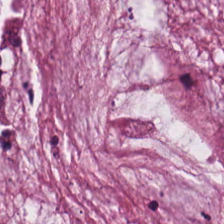The tissue here is mucus.
